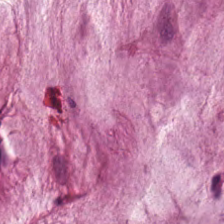Hematoxylin-and-eosin stained section. Formalin-fixed paraffin-embedded section.
The tissue is mucus.
